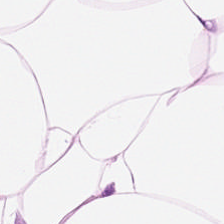H&E.
Tissue: fat tissue.
